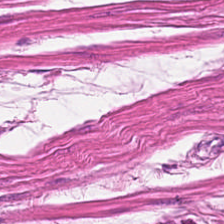Hematoxylin-and-eosin section: smooth muscle.
